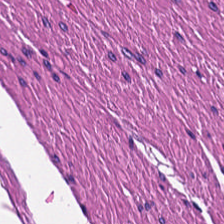20× equivalent magnification; hematoxylin-and-eosin stained section — Predominant tissue: smooth muscle.
